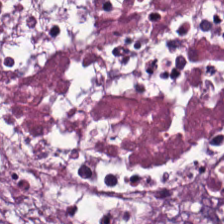Stain: H&E stain.
Resolution: 0.5 µm per pixel.
Tissue: necrotic debris.
